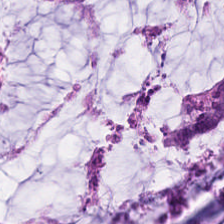Hematoxylin and eosin — Tissue type = mucin.
